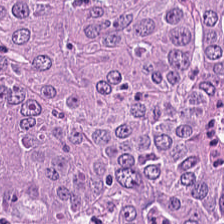Hematoxylin and eosin — Q: What does this patch show?
A: Colorectal adenocarcinoma.
